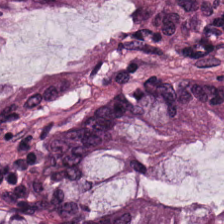Tissue — benign colonic mucosa.
